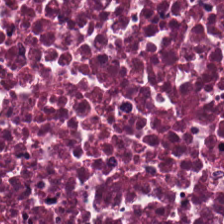Brightfield microscopy. H&E.
Tissue type — cellular debris.
